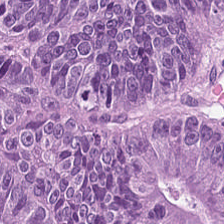Hematoxylin-and-eosin stained section.
Q: What type of tissue is this?
A: It is colorectal adenocarcinoma epithelium.
